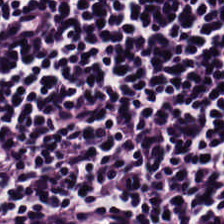Hematoxylin and eosin.
Histology — lymphocytic infiltrate.
